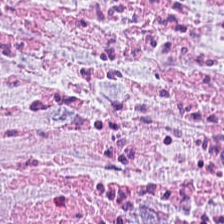Brightfield. H&E.
The predominant tissue is desmoplastic stroma.
